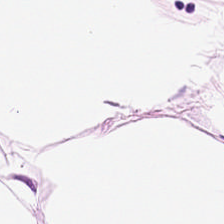Stain: H&E.
Classification: adipose.
